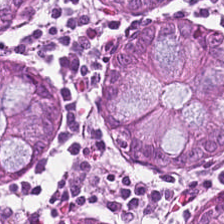Stain: hematoxylin-and-eosin stained section.
Classification: normal colon mucosa.
